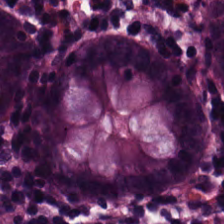Impression → normal colon mucosa.
